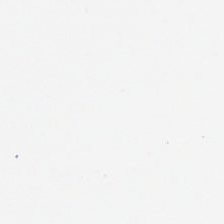H&E-stained tissue section. Background — no tissue in this field.
